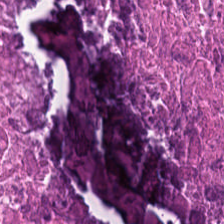H&E-stained tissue section showing debris.
